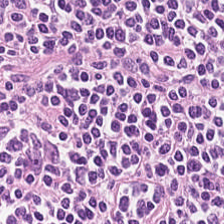Hematoxylin and eosin. The tissue here is lymphoid infiltrate.
